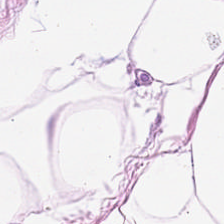Tissue type — adipose.
